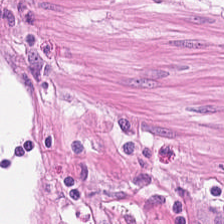Hematoxylin and eosin.
Smooth-muscle tissue.
